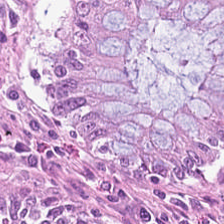0.5 microns per pixel · hematoxylin and eosin — Tissue type: normal colon mucosa.
